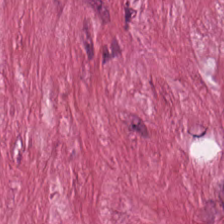Stain: hematoxylin-and-eosin stained section.
Tissue: desmoplastic stroma.
